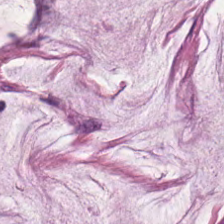Hematoxylin-and-eosin stained section · 224×224 px tile · WSI patch — The tissue here is mucus.
